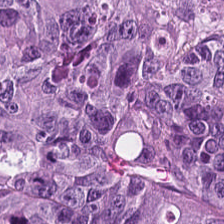Hematoxylin and eosin — Q: What type of tissue is this?
A: This is adenocarcinoma.
